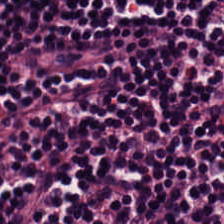Stain: H&E stain.
Tissue class: lymphocytic infiltrate.
